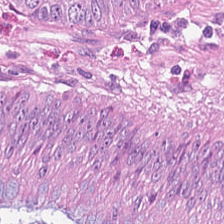Brightfield microscopy. Hematoxylin and eosin — Tissue class — colorectal adenocarcinoma.
